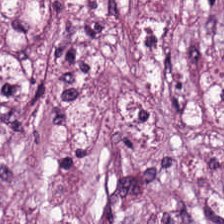H&E · 224×224 pixel tile · brightfield — Tissue class = desmoplastic stroma.
